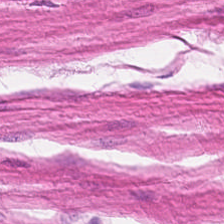H&E. Brightfield — Q: What is shown here?
A: It is smooth-muscle tissue.
